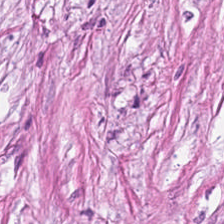Stain: H&E stain.
Preparation: FFPE tissue section.
Tissue: tumor-associated stroma.
